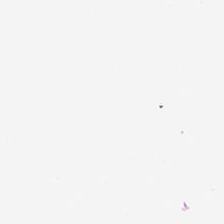Hematoxylin-and-eosin stained section.
No tissue present; background only.
